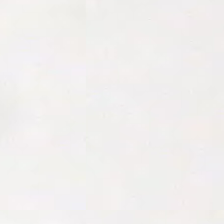Hematoxylin and eosin. 0.5 µm per pixel — Q: What does this patch show?
A: No tissue.
